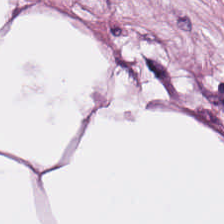Predominant tissue = fat tissue.
